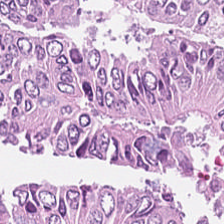Hematoxylin and eosin — Showing malignant epithelium.
